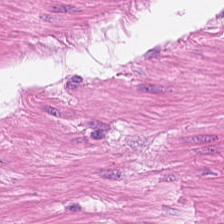Hematoxylin-and-eosin stained section. 0.5 µm per pixel. Finding — muscularis.
